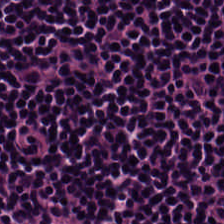0.5 microns per pixel · hematoxylin and eosin.
Lymphocyte aggregate.
